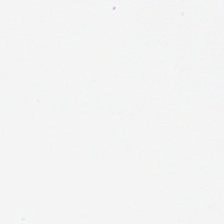Q: Classify this patch.
A: It is background (no tissue).
